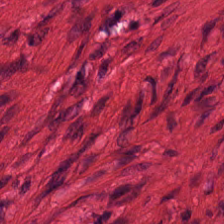Hematoxylin and eosin.
Classification — smooth muscle.
